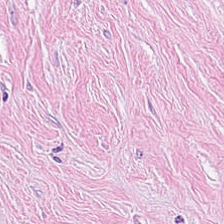224×224 pixel tile; H&E stain; brightfield microscopy. Finding — tumor stroma.
